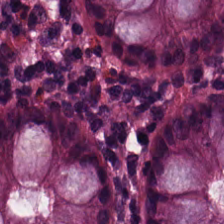224×224 pixel tile · H&E stain — The tissue here is normal colon mucosa.
